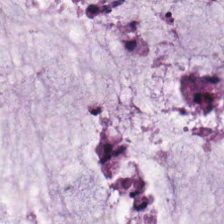H&E. Q: What is shown in this field?
A: It is mucin.
